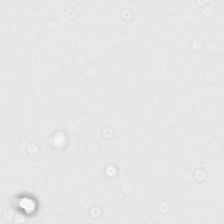H&E; 224×224 px patch; 20× equivalent magnification.
Finding — background (no tissue).
